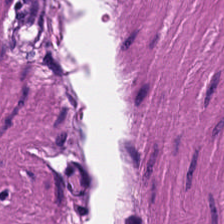Hematoxylin-and-eosin stained section. Predominant tissue — smooth muscle.
